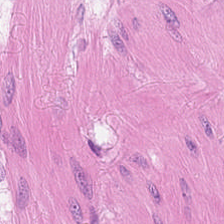The predominant tissue is smooth-muscle tissue.
